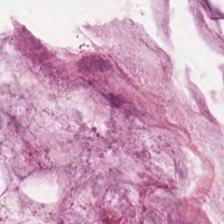Stain: H&E.
Tile size: 224×224 px tile.
Acquisition: brightfield.
Tissue: extracellular mucin.
